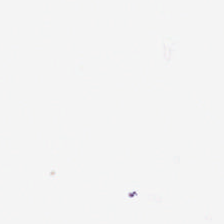Hematoxylin and eosin; WSI patch. Q: What does this patch show?
A: This is empty background.
